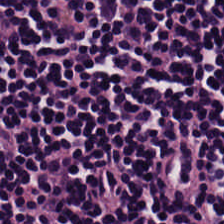H&E.
Tissue type: lymphoid infiltrate.
